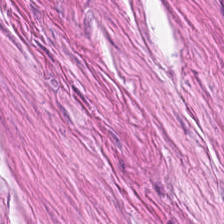224×224 px patch · hematoxylin and eosin · 0.5 µm per pixel. Predominant tissue = smooth-muscle tissue.
